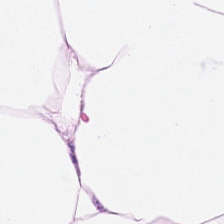Impression — adipose tissue.
